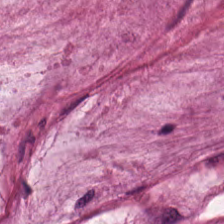Brightfield. Hematoxylin-and-eosin stained section. 224×224 px patch. Predominantly mucin.
